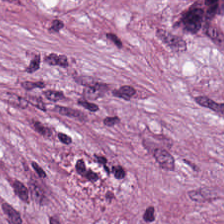H&E. Finding — desmoplastic stroma.
